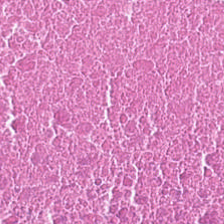Finding — cellular debris.
